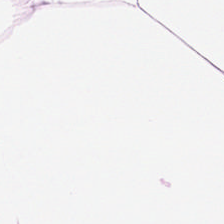Hematoxylin-and-eosin stained section; 224×224 px patch.
The tissue type is fat tissue.
